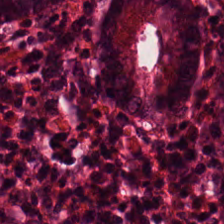Tissue: normal colonic mucosa.
